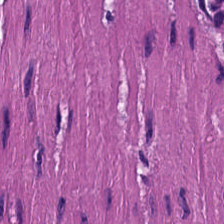Stain: hematoxylin-and-eosin stained section.
Tissue class: smooth muscle.
